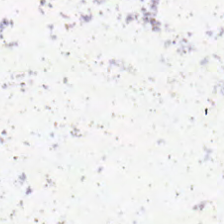Hematoxylin-and-eosin stained section. Classification = background.
